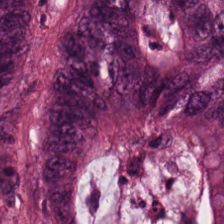The predominant tissue is colorectal adenocarcinoma.
